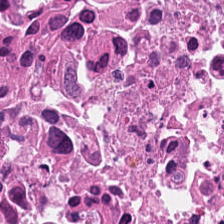0.5 µm per pixel. Hematoxylin-and-eosin stained section — Histology — debris.
